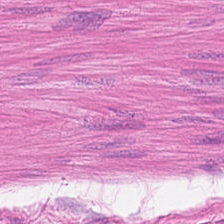224×224 px patch · H&E. Q: What is shown in this field?
A: The field shows muscularis.
